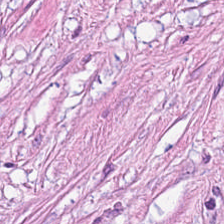H&E-stained tissue section; 0.5 µm per pixel — Histology — tumor-associated stroma.
